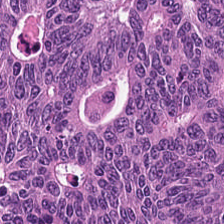Stain: H&E stain.
Tissue class: malignant epithelium.
